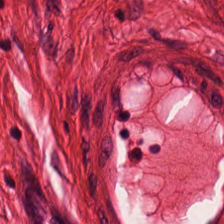Hematoxylin-and-eosin stained section; 0.5 microns per pixel; 224×224 px patch.
Tissue type = smooth muscle.
